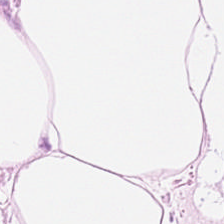Stain: H&E.
Predominant tissue: adipocytes.
